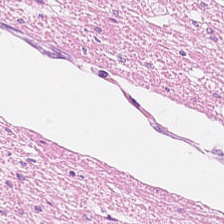H&E stain.
Q: What is shown in this field?
A: This is smooth muscle.
